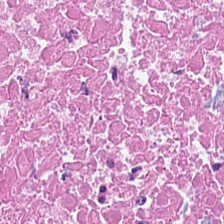FFPE tissue section; WSI patch; H&E stain.
{"tissue_type": "debris"}
